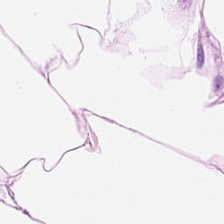Tissue — adipose tissue.
